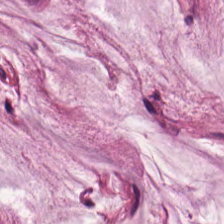H&E stain.
Q: What does this patch show?
A: This is extracellular mucin.
